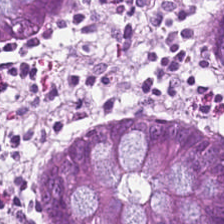{"tissue_type": "benign colonic mucosa"}
